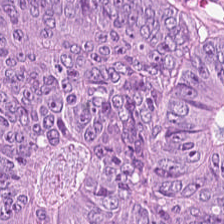H&E-stained tissue section.
The predominant tissue is tumor epithelium.
